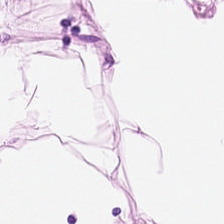Stain: H&E stain.
Classification: adipose tissue.
